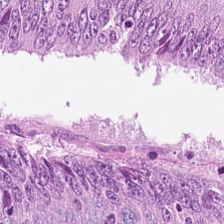Q: Identify the tissue.
A: Malignant epithelium.
